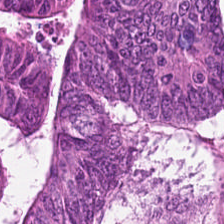224×224 pixel tile. H&E. Brightfield.
Showing colorectal adenocarcinoma epithelium.
